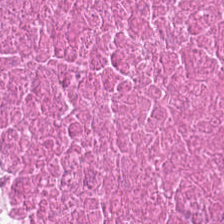H&E-stained tissue section — Necrotic debris.
